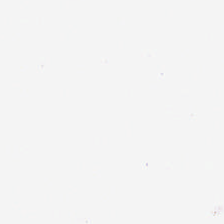Stain: H&E stain.
Preparation: FFPE.
Content: background.
